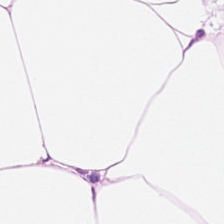Formalin-fixed paraffin-embedded section. H&E-stained tissue section. Histology — adipocytes.
